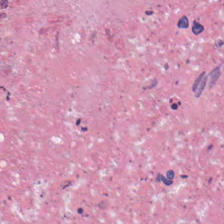FFPE; 0.5 µm per pixel; H&E — Classification — debris.
